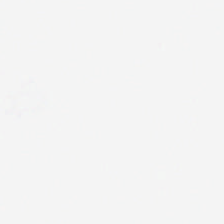20× equivalent magnification · H&E.
This patch shows no tissue.
